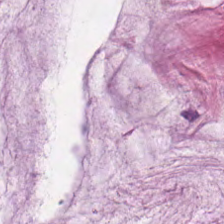224×224 px tile; H&E-stained tissue section — Impression → mucus.
